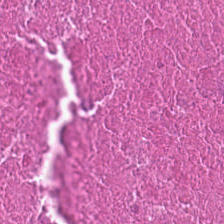H&E — cellular debris.
